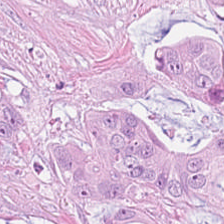H&E. Histology — tumor epithelium.
